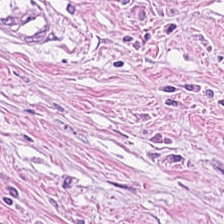H&E — Predominantly desmoplastic stroma.
